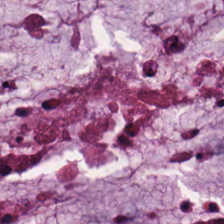0.5 microns per pixel. H&E stain.
Predominant tissue = mucin.
